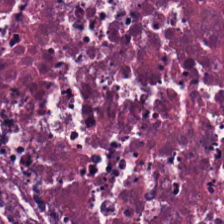Brightfield · H&E-stained tissue section · 224×224 px tile.
Classification: debris.
